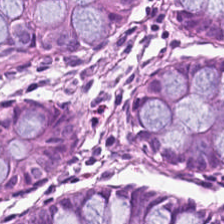H&E. 224×224 pixel tile.
The tissue type is normal colon mucosa.
